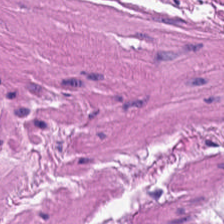Hematoxylin and eosin. Impression — smooth muscle.
